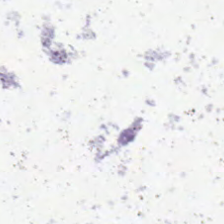{"content": "background"}
